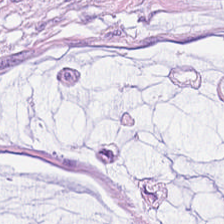224×224 px tile; H&E-stained tissue section — The tissue here is mucus.
